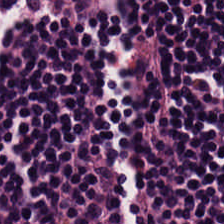H&E.
The predominant tissue is lymphocytes.
